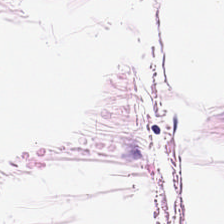WSI patch; hematoxylin-and-eosin stained section; 0.5 µm per pixel. This field is fat tissue.
